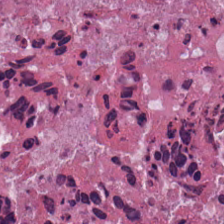H&E · formalin-fixed paraffin-embedded section — Impression → cellular debris.
